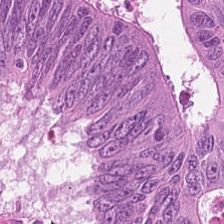Hematoxylin and eosin — The tissue here is adenocarcinoma.
